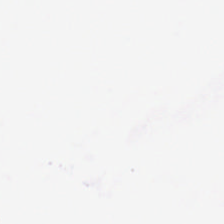H&E. Q: Classify this patch.
A: This is background (no tissue).
